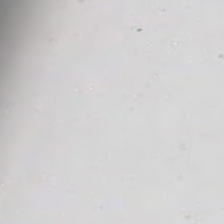H&E stain — Empty field — empty background.
